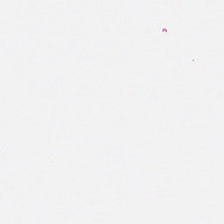WSI patch · 224×224 px patch · H&E-stained tissue section. Empty field — background.
